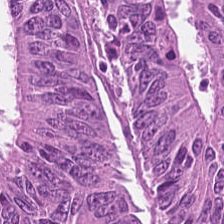Formalin-fixed paraffin-embedded section · hematoxylin and eosin.
Malignant epithelium.
